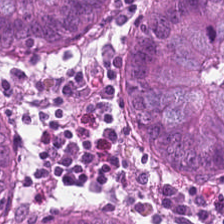H&E. The tissue class is non-neoplastic colon mucosa.
